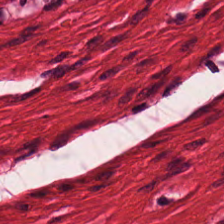H&E stain; 224×224 px tile. Impression → smooth-muscle tissue.
